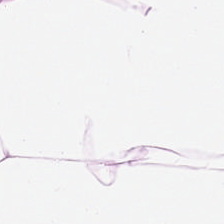Hematoxylin and eosin. Predominant tissue — fat tissue.
